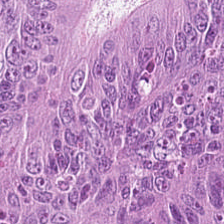H&E stain.
Showing adenocarcinoma.
